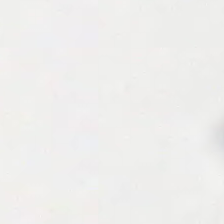H&E-stained tissue section — Field content: background (no tissue).
